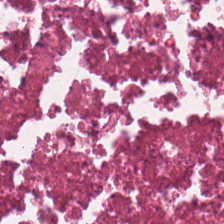Hematoxylin and eosin — Q: What is shown here?
A: It is debris.
